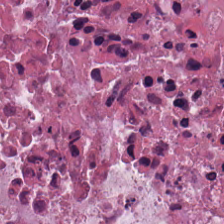H&E — This field is debris.
